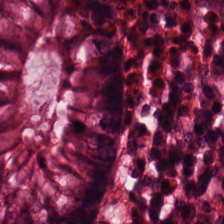Brightfield · H&E. Q: Classify this patch.
A: The field shows non-neoplastic colon mucosa.
